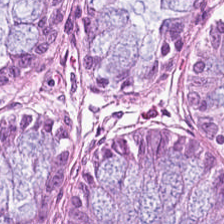H&E stain. Showing benign colonic mucosa.
